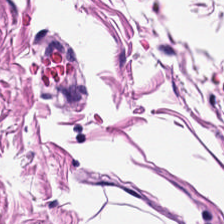Finding → smooth muscle.
